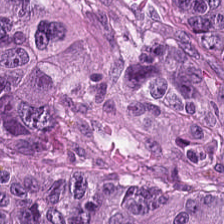This field is malignant epithelium.
